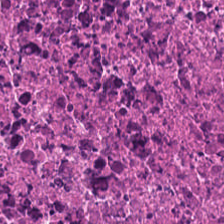Hematoxylin-and-eosin stained section. Predominant tissue — cellular debris.
